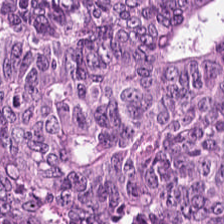This field is tumor epithelium.
